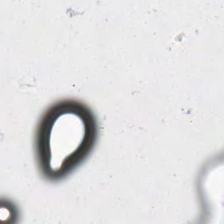Hematoxylin and eosin. Field content: background.
